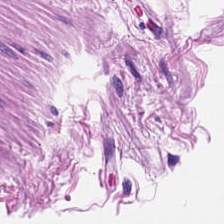Stain: hematoxylin-and-eosin stained section.
Resolution: 0.5 microns per pixel.
Preparation: formalin-fixed paraffin-embedded section.
Tissue: smooth muscle.
